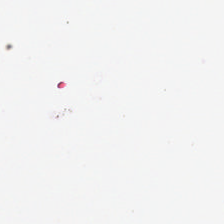Hematoxylin-and-eosin stained section. The field content is no tissue.
